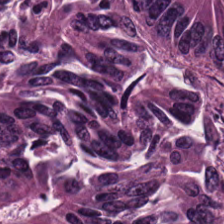Hematoxylin-and-eosin stained section — Tissue class = colorectal adenocarcinoma epithelium.
